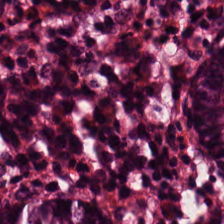H&E-stained tissue section. Predominantly benign colonic mucosa.
